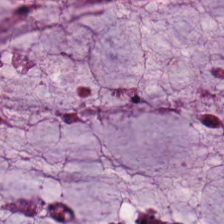H&E. Showing extracellular mucin.
